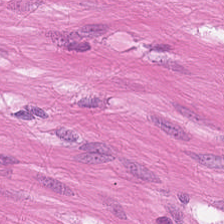H&E-stained tissue section. Tissue type — muscularis.
